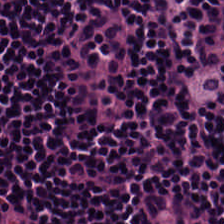FFPE · hematoxylin and eosin.
{"tissue_type": "lymphocytes"}
